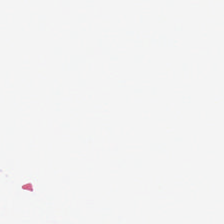Hematoxylin-and-eosin stained section — This patch shows background (no tissue).
